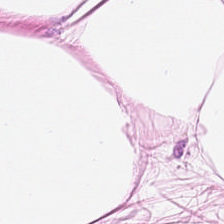Stain: H&E-stained tissue section.
Tissue: adipocytes.
